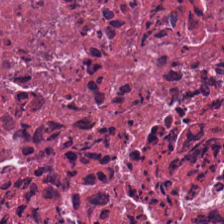The tissue here is necrotic debris.
